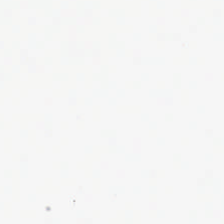Hematoxylin-and-eosin stained section. 224×224 pixel tile.
Q: What does this patch show?
A: This is no tissue.
